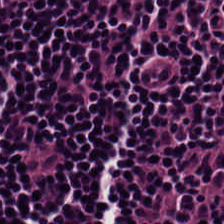224×224 px patch · H&E-stained tissue section — Q: What is shown here?
A: This is lymphocytic infiltrate.
